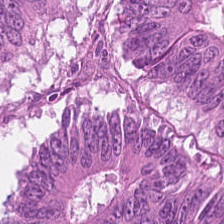Brightfield · H&E — Q: What tissue type is shown here?
A: Colorectal adenocarcinoma.
